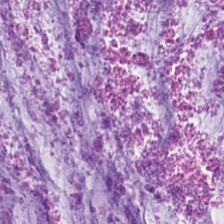Stain: H&E.
Preparation: formalin-fixed paraffin-embedded section.
Tissue: extracellular mucin.
